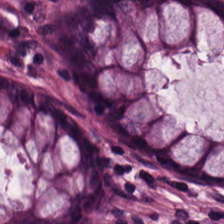0.5 µm/px · hematoxylin-and-eosin stained section.
The tissue here is non-neoplastic colon mucosa.
